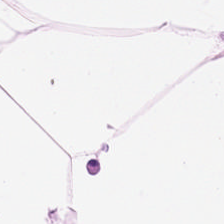224×224 pixel tile · hematoxylin-and-eosin stained section.
Q: What tissue type is shown here?
A: This is adipocytes.
